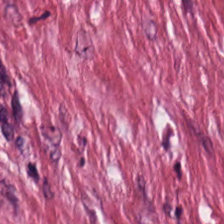Hematoxylin-and-eosin stained section. 20× equivalent magnification.
Impression — desmoplastic stroma.
